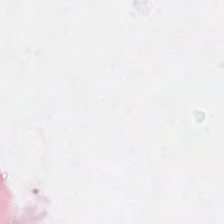No tissue present; background only.
